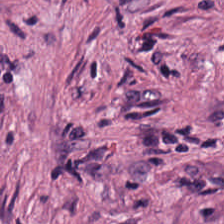H&E — Tissue type — tumor stroma.
